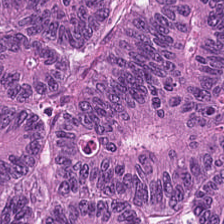H&E.
This field is tumor epithelium.
